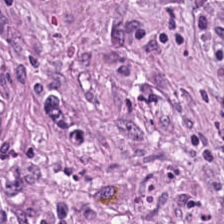H&E — Tissue type: desmoplastic stroma.
